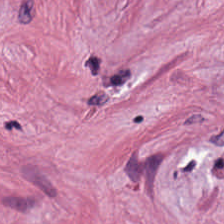H&E stain — This field is tumor-associated stroma.
